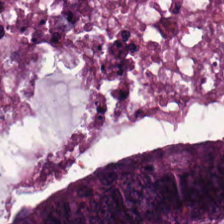Hematoxylin and eosin.
The predominant tissue is adenocarcinoma.
